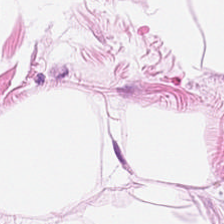Hematoxylin and eosin. FFPE tissue section — This field is adipose tissue.
